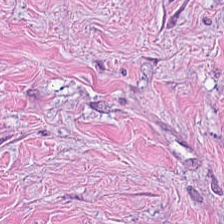Hematoxylin and eosin — Tissue: tumor stroma.
